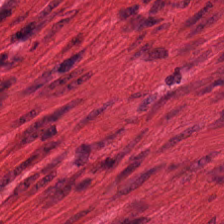Tissue class = smooth-muscle tissue.
